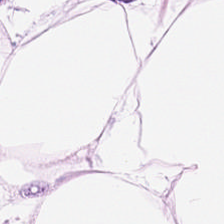Tissue — adipocytes.
